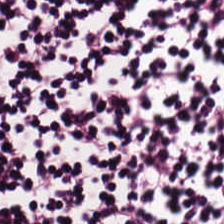Formalin-fixed paraffin-embedded section; H&E-stained tissue section.
Histology — lymphocytes.
